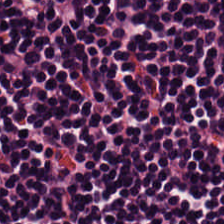0.5 microns per pixel. H&E stain — Impression — lymphocytic infiltrate.
